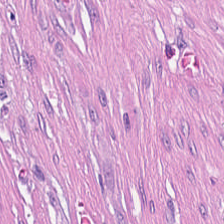H&E-stained tissue section showing cancer-associated stroma.
